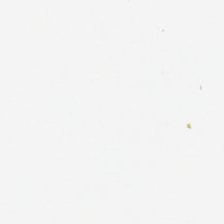H&E; 224×224 pixel tile. Background — no tissue in this field.
